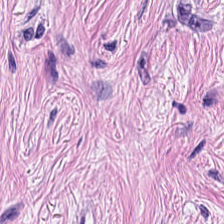Hematoxylin and eosin.
Finding → tumor stroma.
